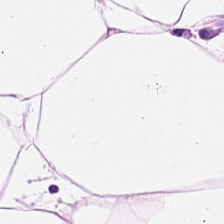Stain: H&E.
Acquisition: brightfield.
Preparation: formalin-fixed paraffin-embedded section.
Classification: adipocytes.
